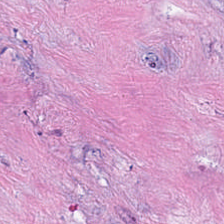Stain: hematoxylin and eosin.
Tissue: tumor-associated stroma.
